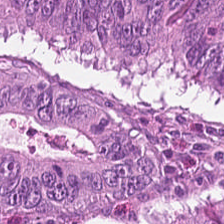224×224 pixel tile · WSI patch · hematoxylin-and-eosin stained section. Showing colorectal adenocarcinoma.
